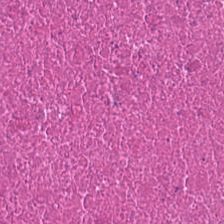Tissue — cellular debris.
